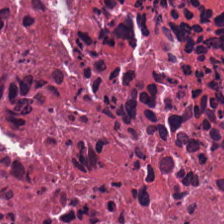Histology — cellular debris.
